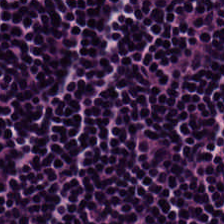Hematoxylin-and-eosin stained section.
{"tissue_type": "lymphoid infiltrate"}
